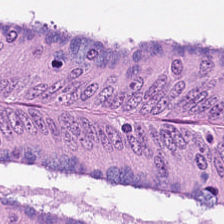20× equivalent magnification · hematoxylin and eosin · whole-slide-image patch.
Showing adenocarcinoma.
